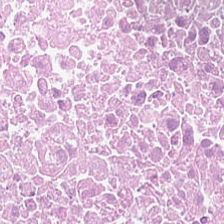H&E.
Tissue: debris.
